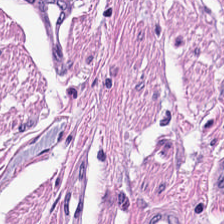Whole-slide-image patch; hematoxylin-and-eosin stained section; 224×224 px tile. This patch shows smooth-muscle tissue.
